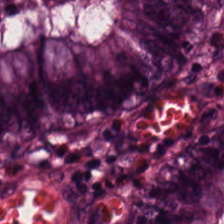Hematoxylin-and-eosin stained section. Brightfield.
Classification: normal colon mucosa.
